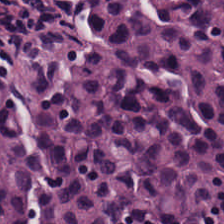FFPE · hematoxylin-and-eosin stained section. This patch shows lymphocytes.
